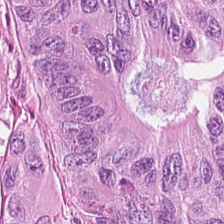H&E stain.
The tissue class is tumor epithelium.
